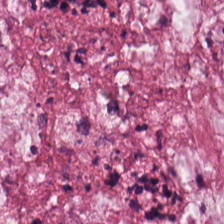Stain: H&E-stained tissue section.
Tile size: 224×224 px tile.
Tissue: mucin.
